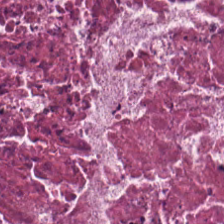H&E stain — The classification is cellular debris.
